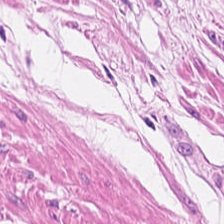This patch shows smooth muscle.
